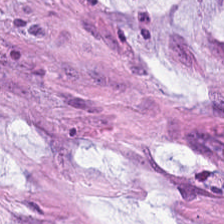0.5 µm per pixel; H&E. Tissue class = extracellular mucin.
